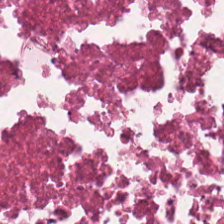Stain: H&E.
Tile size: 224×224 px tile.
Tissue class: necrotic debris.
